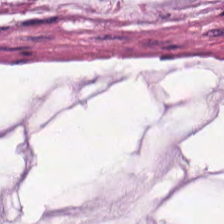Hematoxylin-and-eosin stained section — The tissue here is mucin.
